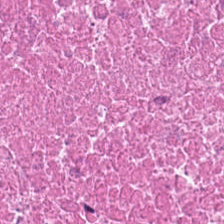224×224 pixel tile; H&E stain.
Predominantly cellular debris.
